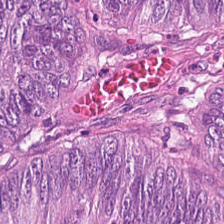H&E.
Predominantly malignant epithelium.
